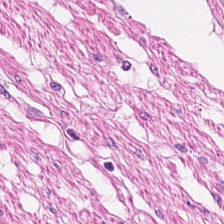H&E stain.
Histology — smooth-muscle tissue.
